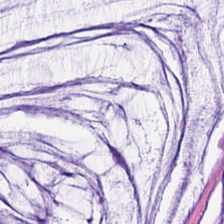H&E stain; 0.5 microns per pixel — Classification — extracellular mucin.
